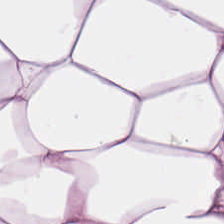H&E; 224×224 pixel tile — Q: Identify the tissue.
A: Adipocytes.
